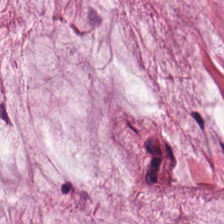Q: What is shown in this field?
A: This is mucus.
